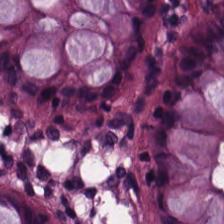0.5 microns per pixel · H&E stain. Predominant tissue: non-neoplastic colon mucosa.
